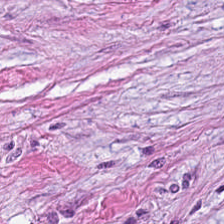Whole-slide-image patch · hematoxylin and eosin.
The predominant tissue is cancer-associated stroma.
